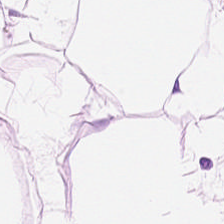H&E stain · 224×224 pixel tile. Finding → adipocytes.
